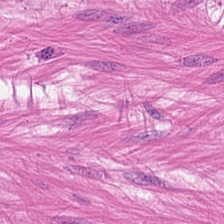224×224 pixel tile · H&E.
This patch shows muscularis.
